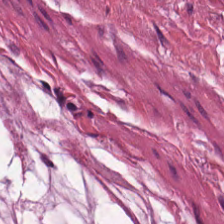224×224 px patch. H&E. Q: What tissue is shown?
A: This is mucus.
